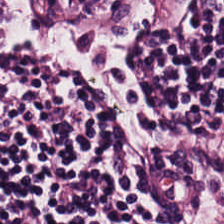Formalin-fixed paraffin-embedded section; hematoxylin-and-eosin stained section.
Impression → lymphocytic infiltrate.
